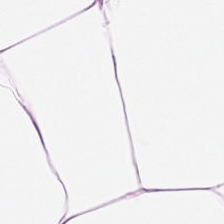Hematoxylin and eosin. Q: What is shown in this field?
A: Fat tissue.
